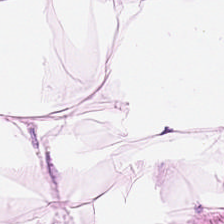20× equivalent magnification. Brightfield microscopy. H&E-stained tissue section. Impression — fat tissue.
